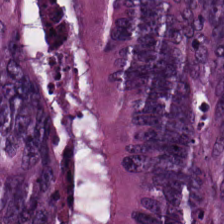Q: What is shown here?
A: The field shows colorectal adenocarcinoma epithelium.
